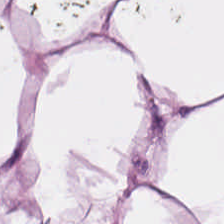Stain: H&E.
Tissue: adipose.
